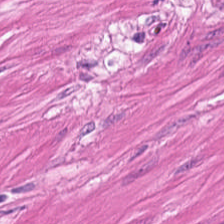H&E-stained tissue section. FFPE — Predominantly muscularis.
